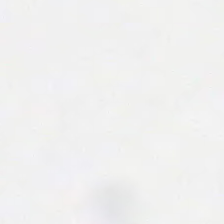Histology → background.
